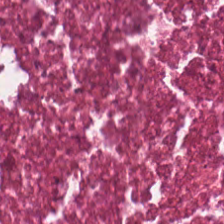224×224 px tile. Hematoxylin-and-eosin stained section. Showing necrotic debris.
